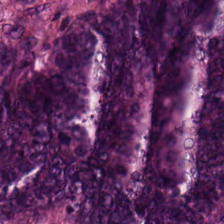Hematoxylin and eosin; 224×224 px patch; 0.5 microns per pixel. Impression — colorectal adenocarcinoma epithelium.
